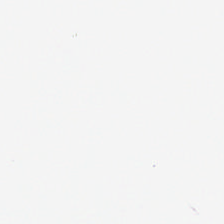WSI patch · H&E.
The classification is no tissue.
